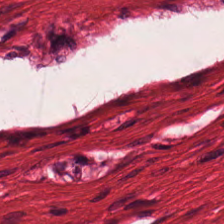Hematoxylin and eosin. Impression — muscularis.
